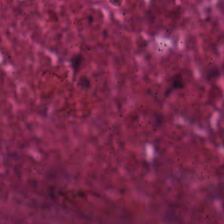The predominant tissue is cellular debris.
